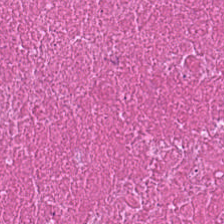Hematoxylin and eosin. 20× equivalent magnification. FFPE — Q: What is shown in this field?
A: The field shows debris.
